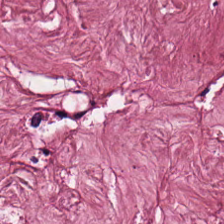H&E patch showing tumor-associated stroma.
